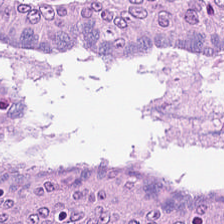0.5 µm/px. Hematoxylin-and-eosin stained section.
This field is adenocarcinoma.
